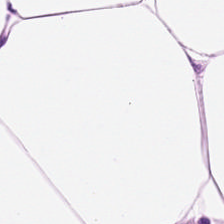Hematoxylin and eosin. Tissue class — adipocytes.
